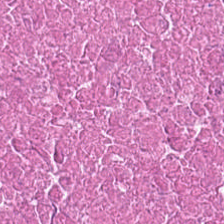224×224 pixel tile. FFPE. H&E stain — Classification: necrotic debris.
